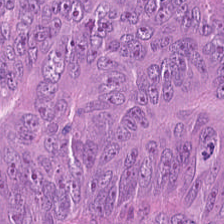Hematoxylin-and-eosin stained section — {"tissue_type": "colorectal adenocarcinoma"}
